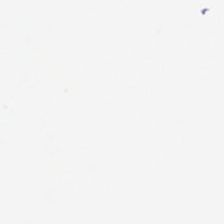H&E · formalin-fixed paraffin-embedded section · 224×224 pixel tile.
Histology → empty background.
